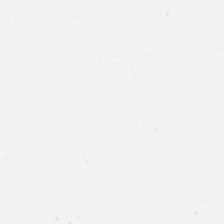H&E.
{"content": "empty background"}
